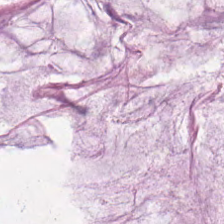{"tissue_type": "extracellular mucin"}
